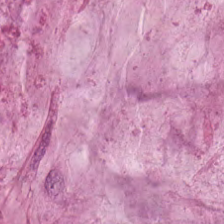H&E. Predominant tissue: mucus.
